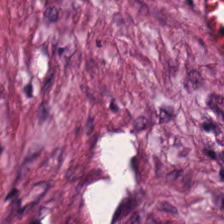H&E stain · FFPE · whole-slide-image patch.
Histology — tumor stroma.
